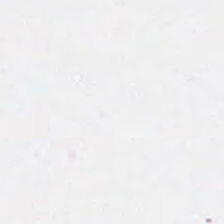H&E-stained tissue section — No tissue present; background only.
